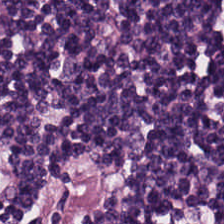20× equivalent magnification · hematoxylin and eosin — Tissue: lymphocytic infiltrate.
